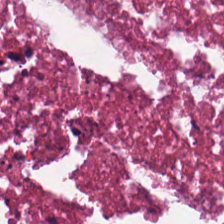{"tissue_type": "necrotic debris"}
